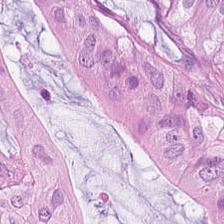Stain: hematoxylin and eosin.
Tissue type: malignant epithelium.
